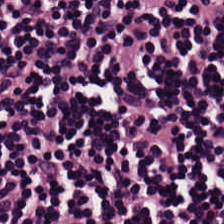H&E-stained tissue section.
Q: What is the predominant tissue type?
A: It is lymphocytic infiltrate.
